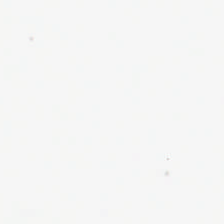H&E-stained tissue section. Background (no tissue).
